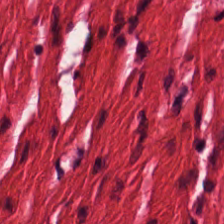Tissue type — smooth-muscle tissue.
